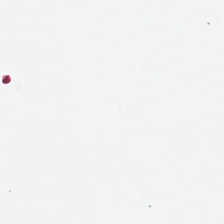Hematoxylin-and-eosin stained section.
This patch shows background (no tissue).
